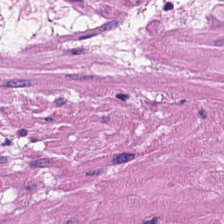Stain: H&E-stained tissue section.
Tissue class: muscularis.
